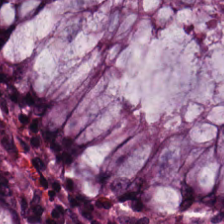Stain: H&E stain.
Tissue class: non-neoplastic colon mucosa.
